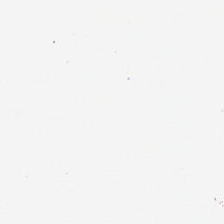Hematoxylin-and-eosin stained section.
Q: What is shown here?
A: The field shows background.
